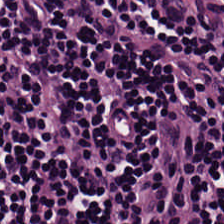H&E stain. Q: What tissue type is shown here?
A: This is lymphocyte aggregate.
